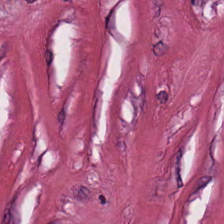Hematoxylin-and-eosin stained section — Cancer-associated stroma.
